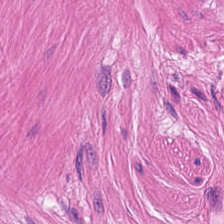Stain: hematoxylin-and-eosin stained section.
Acquisition: WSI patch.
Resolution: 20× equivalent magnification.
Tissue class: muscularis.
